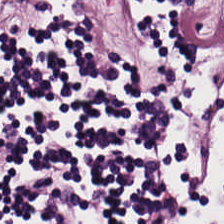Hematoxylin and eosin — The tissue type is lymphocytes.
